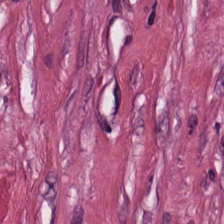FFPE tissue section; H&E-stained tissue section; WSI patch. Classification = tumor-associated stroma.
